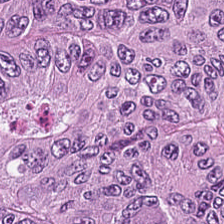Stain: H&E.
Tissue class: colorectal adenocarcinoma epithelium.
